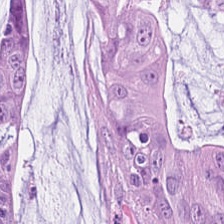H&E. The tissue is mucus.
